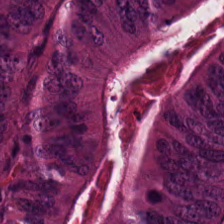Formalin-fixed paraffin-embedded section · 0.5 µm/px · hematoxylin and eosin.
The predominant tissue is colorectal adenocarcinoma epithelium.
